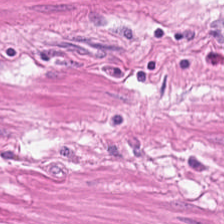H&E-stained tissue section. Smooth-muscle tissue.
